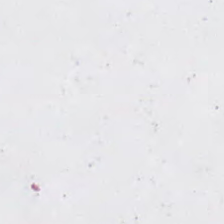Formalin-fixed paraffin-embedded section. Hematoxylin-and-eosin stained section — Impression — no tissue.
